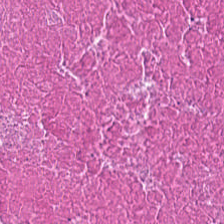Brightfield; hematoxylin-and-eosin stained section. Predominant tissue: debris.
